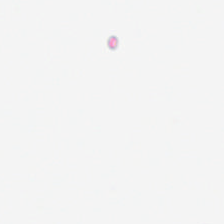Hematoxylin and eosin — Classification = background.
